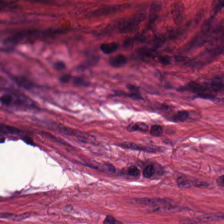Histology → tumor stroma.
